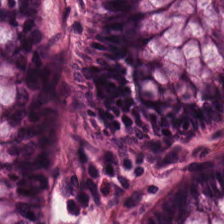H&E-stained tissue section.
This patch shows normal colonic mucosa.
